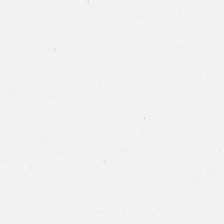Background — no tissue in this field.
